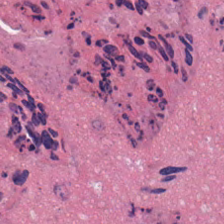FFPE · H&E-stained tissue section — Q: What type of tissue is this?
A: It is debris.
